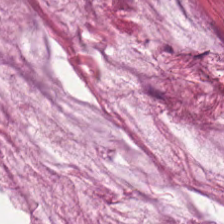Histology — mucin.
